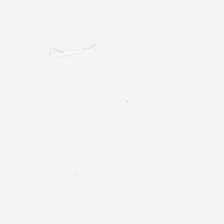H&E — {"content": "background (no tissue)"}
